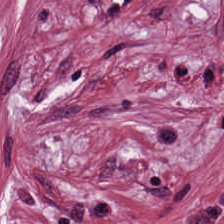224×224 pixel tile · hematoxylin-and-eosin stained section.
The predominant tissue is cancer-associated stroma.
